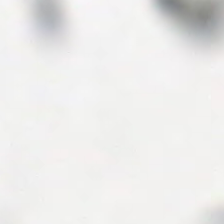No tissue present; background only.
